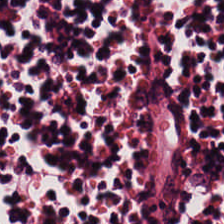Hematoxylin and eosin. 0.5 microns per pixel.
Lymphoid infiltrate.
